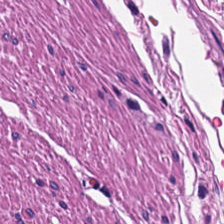H&E. Whole-slide-image patch. 224×224 px patch.
Q: What is shown here?
A: It is muscularis.
